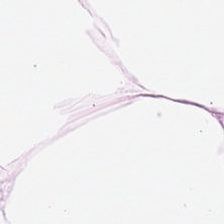224×224 px tile · hematoxylin and eosin. The classification is adipose.
